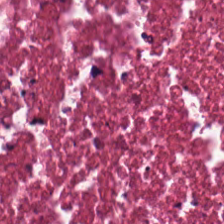224×224 px tile. H&E-stained tissue section. 20× equivalent magnification. Tissue type: debris.
